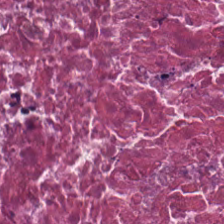20× equivalent magnification · H&E. Q: What is shown here?
A: It is debris.
